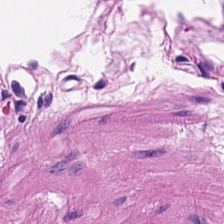Classification — smooth muscle.
